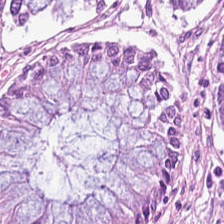Stain: hematoxylin-and-eosin stained section.
Tissue class: non-neoplastic colon mucosa.
